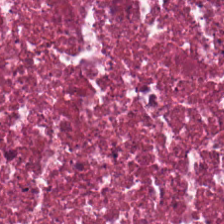Stain: H&E stain.
Classification: cellular debris.
